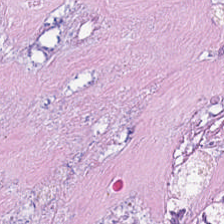Whole-slide-image patch. 224×224 px patch. H&E stain — Classification — necrotic debris.
